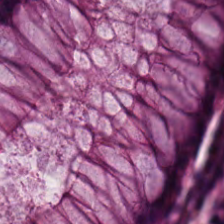Predominant tissue: normal colonic mucosa.
